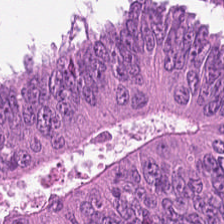0.5 microns per pixel · H&E-stained tissue section. Tissue class = malignant epithelium.
